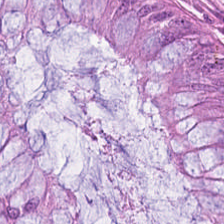The tissue type is benign colonic mucosa.
